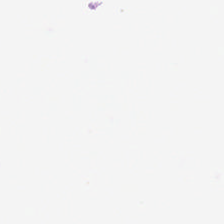224×224 pixel tile. Hematoxylin-and-eosin stained section — Q: Classify this patch.
A: No tissue.
